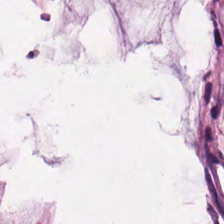H&E. Q: What type of tissue is this?
A: It is mucus.
